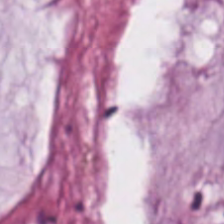Hematoxylin-and-eosin stained section · 224×224 px patch.
Tissue class — extracellular mucin.
